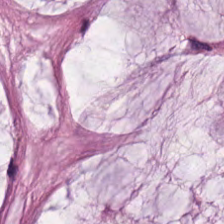Tissue class: mucin.
